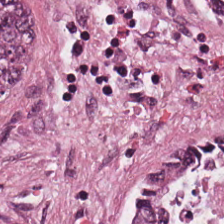H&E-stained tissue section — Tissue type = malignant epithelium.
